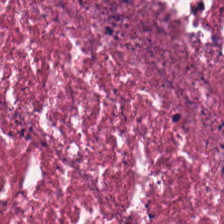20× equivalent magnification; hematoxylin-and-eosin stained section. {"tissue_type": "debris"}
